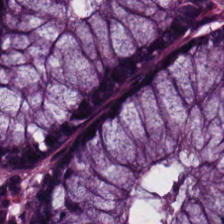Hematoxylin and eosin. Histology — non-neoplastic colon mucosa.
